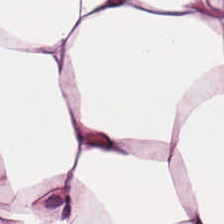Hematoxylin and eosin — Classification: fat tissue.
